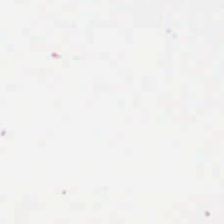FFPE; 224×224 px tile; H&E. Content: no tissue.
